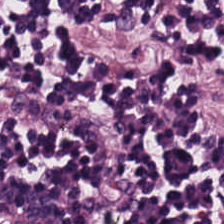H&E.
Q: What tissue type is shown here?
A: This is lymphocytic infiltrate.
